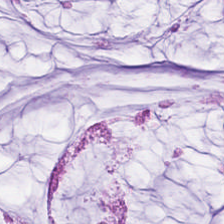H&E-stained tissue section — The tissue is mucin.
